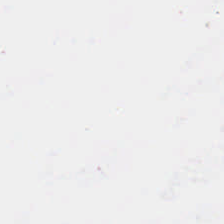Hematoxylin and eosin — Field content — empty background.
